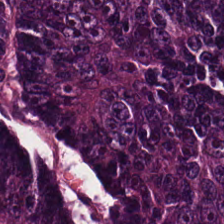Hematoxylin-and-eosin stained section. Q: Identify the tissue.
A: The field shows malignant epithelium.
